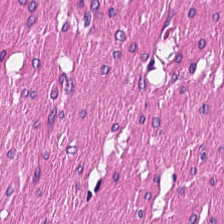H&E-stained tissue section. This patch shows smooth muscle.
